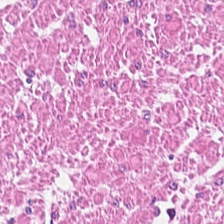Brightfield. Hematoxylin and eosin — The predominant tissue is smooth muscle.
